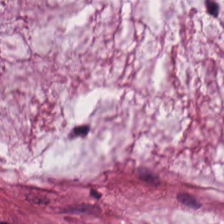H&E-stained tissue section. The predominant tissue is mucin.
